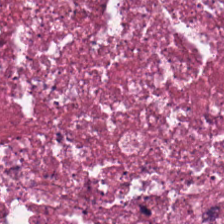This field is necrotic debris.
